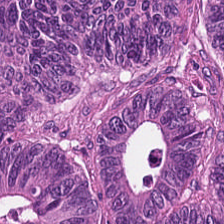Hematoxylin and eosin; 224×224 px patch; brightfield.
Q: What is shown in this field?
A: This is adenocarcinoma.
